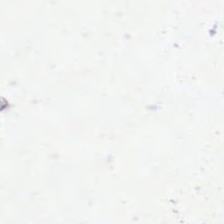No tissue present; background only.
